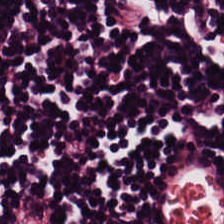H&E-stained tissue section showing lymphoid infiltrate.
